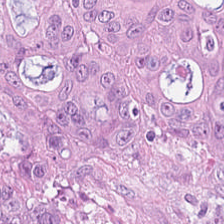Hematoxylin-and-eosin stained section.
Tissue type = adenocarcinoma.
